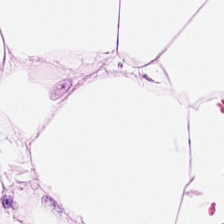Stain: H&E stain.
Preparation: formalin-fixed paraffin-embedded section.
Acquisition: WSI patch.
Classification: adipose.
